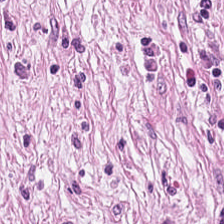Hematoxylin-and-eosin stained section.
This patch shows tumor-associated stroma.
